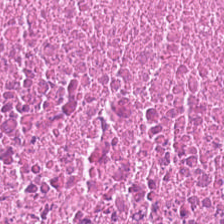Stain: H&E stain.
Tissue type: debris.
